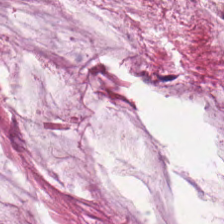H&E — Mucin.
